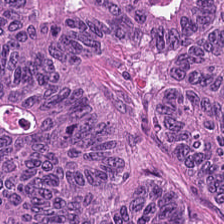Hematoxylin-and-eosin stained section. 0.5 µm per pixel. 224×224 pixel tile.
{"tissue_type": "tumor epithelium"}
